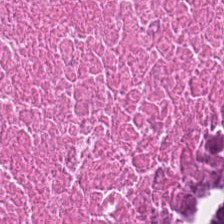Stain: H&E stain.
Tissue: cellular debris.
